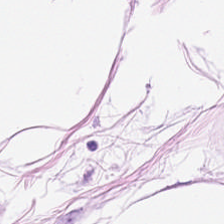Brightfield microscopy. 224×224 px patch. H&E. Tissue type: adipose tissue.
